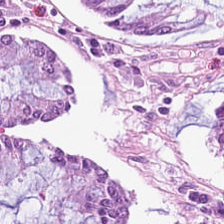H&E — The tissue here is normal colon mucosa.
